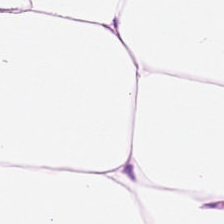H&E patch showing adipocytes.
